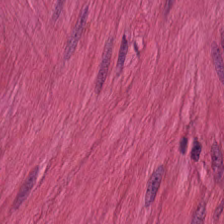Hematoxylin and eosin. Q: What tissue type is shown here?
A: It is muscularis.
